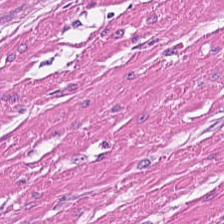Stain: H&E stain.
Resolution: 0.5 µm per pixel.
Acquisition: brightfield microscopy.
Tissue: smooth muscle.
